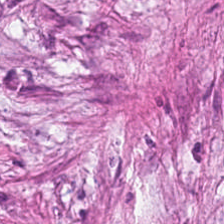This patch shows tumor stroma.
